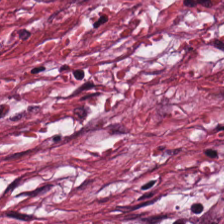Brightfield. Hematoxylin-and-eosin stained section.
Tissue class — desmoplastic stroma.
